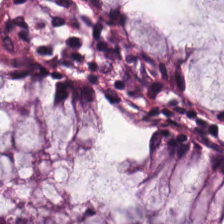H&E stain; 0.5 µm per pixel; FFPE tissue section.
Q: Classify this patch.
A: Normal colon mucosa.
